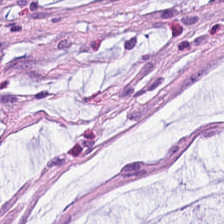H&E-stained tissue section; FFPE tissue section. Predominant tissue: mucin.
